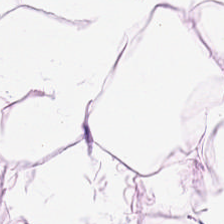Brightfield microscopy · H&E. Q: What does this patch show?
A: Adipocytes.
